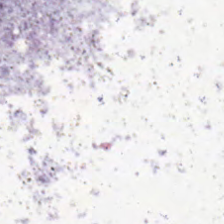Whole-slide-image patch; hematoxylin-and-eosin stained section.
{"content": "no tissue"}
